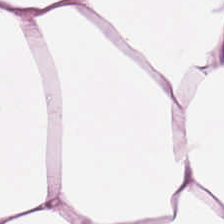Hematoxylin and eosin. Classification: adipocytes.
